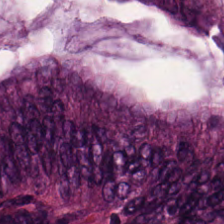Hematoxylin and eosin; brightfield. The tissue type is tumor epithelium.
